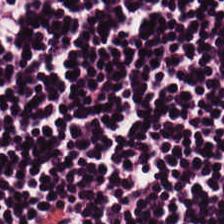This field is lymphocyte aggregate.
